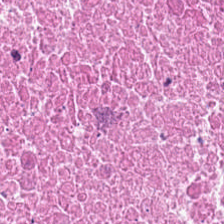H&E.
The tissue type is cellular debris.
